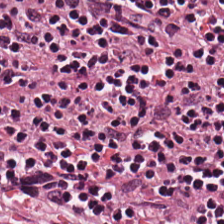Stain: hematoxylin-and-eosin stained section.
Tile size: 224×224 px tile.
Tissue: lymphocyte aggregate.
